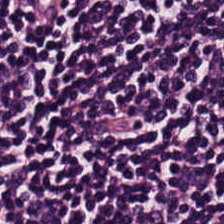Q: What tissue is shown?
A: Lymphocytes.
